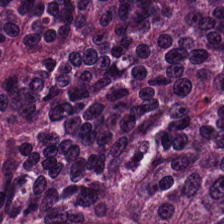Tissue: tumor epithelium.
